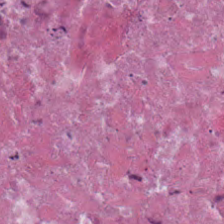H&E-stained tissue section. Predominant tissue = cellular debris.
